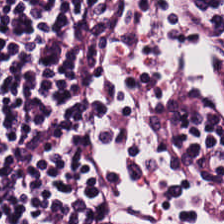H&E; whole-slide-image patch — The tissue class is lymphocytes.
